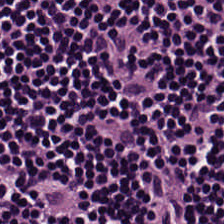H&E-stained section; the field shows lymphocytic infiltrate.
